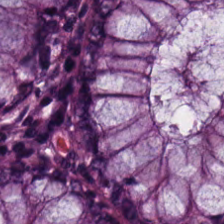Hematoxylin and eosin; 224×224 px tile; FFPE tissue section.
Q: What type of tissue is this?
A: Benign colonic mucosa.
